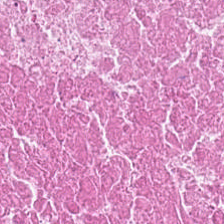Stain: hematoxylin-and-eosin stained section.
Preparation: FFPE tissue section.
Tissue: cellular debris.
